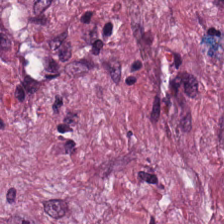H&E stain.
{"tissue_type": "tumor-associated stroma"}
